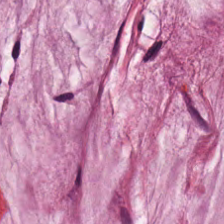Whole-slide-image patch. 224×224 pixel tile. Hematoxylin and eosin. Predominant tissue = mucus.
